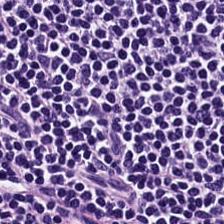H&E. 0.5 µm/px — Showing lymphoid infiltrate.
